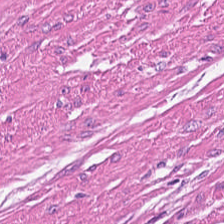H&E. Smooth-muscle tissue.
